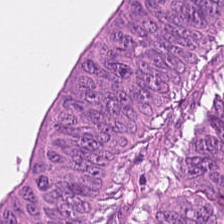0.5 microns per pixel; hematoxylin-and-eosin stained section.
Predominant tissue: colorectal adenocarcinoma epithelium.
